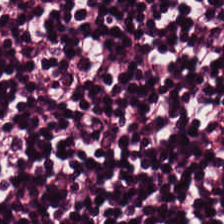0.5 microns per pixel; H&E stain. The tissue here is lymphoid infiltrate.
